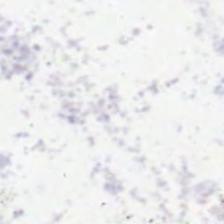224×224 px tile; H&E-stained tissue section — This field is background (no tissue).
